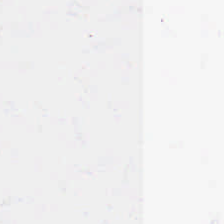Stain: hematoxylin and eosin.
Content: background (no tissue).
